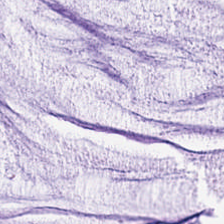Stain: H&E.
Predominant tissue: extracellular mucin.
